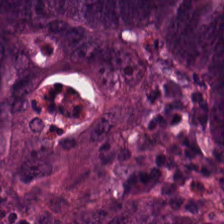Hematoxylin and eosin. 0.5 µm per pixel. Predominant tissue — malignant epithelium.
